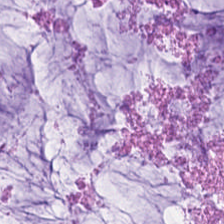Stain: H&E.
Tissue class: mucus.
